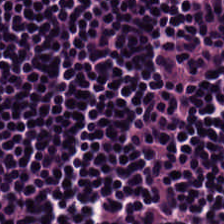224×224 pixel tile. H&E. Formalin-fixed paraffin-embedded section.
Tissue type: lymphocytic infiltrate.
